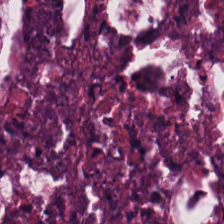H&E — Q: What tissue type is shown here?
A: The field shows necrotic debris.
